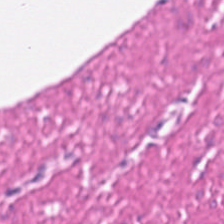H&E — This field is muscularis.
